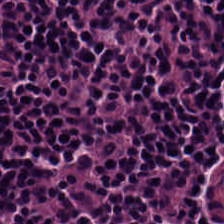The tissue type is lymphocyte aggregate.
